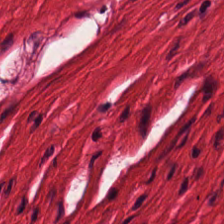224×224 px tile. 0.5 µm per pixel. H&E.
Classification — smooth-muscle tissue.
